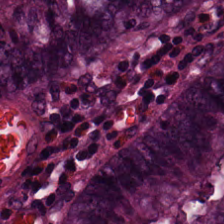0.5 µm per pixel. H&E. FFPE — {"tissue_type": "non-neoplastic colon mucosa"}
